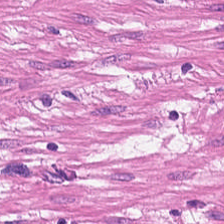224×224 pixel tile; hematoxylin and eosin. Tissue type = smooth muscle.
